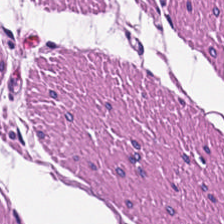Hematoxylin and eosin; FFPE — The tissue is muscularis.
